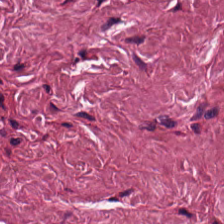Stain: H&E-stained tissue section.
Resolution: 0.5 µm/px.
Preparation: FFPE tissue section.
Tissue type: desmoplastic stroma.
